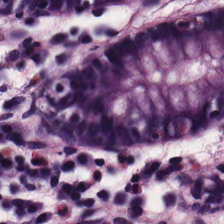{"tissue_type": "non-neoplastic colon mucosa"}
